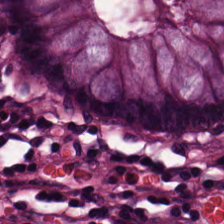H&E-stained tissue section — This field is normal colonic mucosa.
